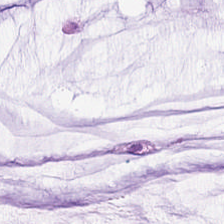0.5 microns per pixel. H&E stain. WSI patch.
{"tissue_type": "mucin"}
